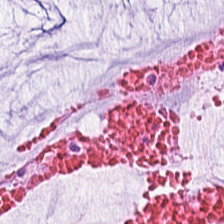Tissue class = mucus.
